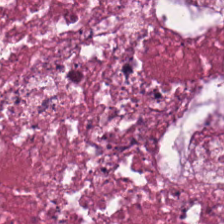Hematoxylin and eosin.
Cellular debris.
